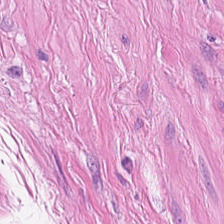224×224 px tile. H&E-stained tissue section — Smooth-muscle tissue.
